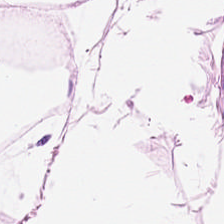Formalin-fixed paraffin-embedded section; H&E-stained tissue section; WSI patch.
Impression — adipose.
